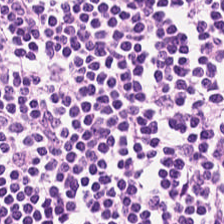Hematoxylin-and-eosin stained section — Q: What tissue is shown?
A: The field shows lymphocytes.
